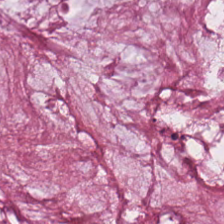Stain: hematoxylin and eosin.
Tissue class: extracellular mucin.
